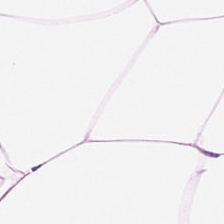Hematoxylin-and-eosin stained section. Adipose tissue.
